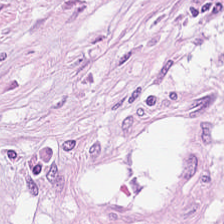{"tissue_type": "tumor stroma"}
